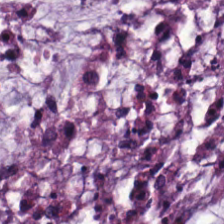H&E-stained tissue section.
Histology — mucin.
